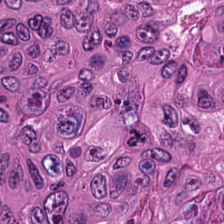Q: What is shown here?
A: This is malignant epithelium.
